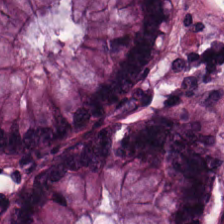20× equivalent magnification; FFPE tissue section; hematoxylin and eosin — {"tissue_type": "normal colonic mucosa"}
